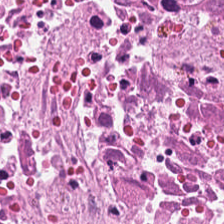H&E-stained tissue section — {"tissue_type": "necrotic debris"}
